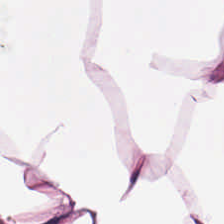H&E stain.
Q: Classify this patch.
A: Adipose.
